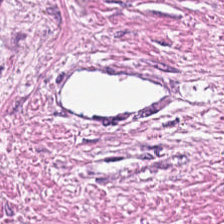0.5 µm per pixel. 224×224 px tile. Hematoxylin-and-eosin stained section. Q: What does this patch show?
A: Tumor stroma.
